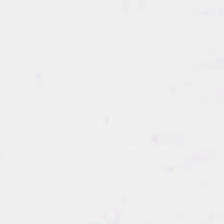H&E-stained tissue section. Brightfield. 224×224 pixel tile. Classification: no tissue.
